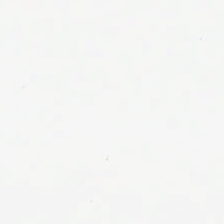20× equivalent magnification. H&E-stained tissue section. FFPE. This field is background (no tissue).
